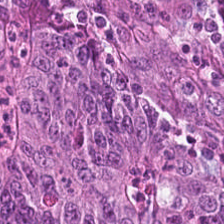Stain: H&E.
Tile size: 224×224 px patch.
Acquisition: brightfield.
Tissue class: colorectal adenocarcinoma.
